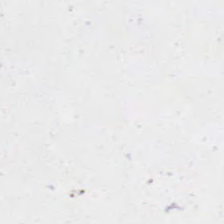Stain: hematoxylin and eosin.
Classification: empty background.
